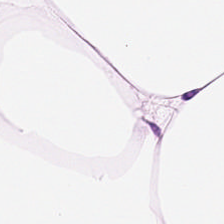Stain: H&E stain.
Acquisition: WSI patch.
Preparation: FFPE.
Classification: adipose tissue.
